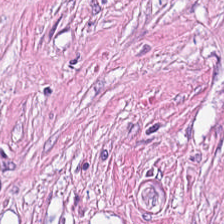224×224 px patch. Hematoxylin-and-eosin stained section — This patch shows tumor stroma.
